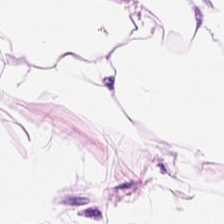{"tissue_type": "adipocytes"}
